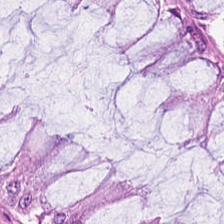Hematoxylin and eosin. Q: What type of tissue is this?
A: Normal colonic mucosa.
